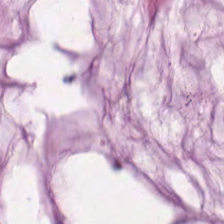Stain: H&E-stained tissue section.
Tile size: 224×224 px tile.
Resolution: 0.5 µm per pixel.
Predominant tissue: mucus.
